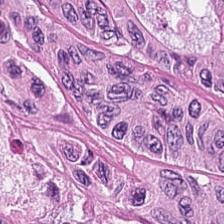H&E stain.
The classification is malignant epithelium.
